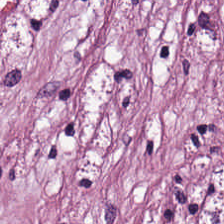Hematoxylin-and-eosin stained section.
{"tissue_type": "tumor stroma"}
